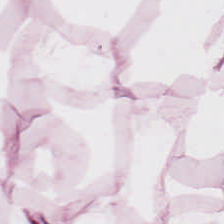H&E-stained tissue section; FFPE; 0.5 µm/px. Tissue type = adipose.
